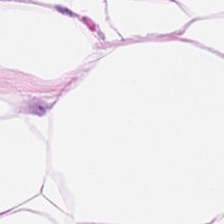Hematoxylin-and-eosin stained section. Brightfield.
Showing adipocytes.
